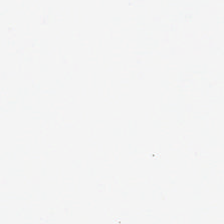Hematoxylin-and-eosin stained section. Field content = background.
